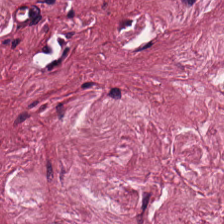Hematoxylin-and-eosin stained section. 224×224 px tile. FFPE tissue section.
Q: What does this patch show?
A: The field shows tumor stroma.
